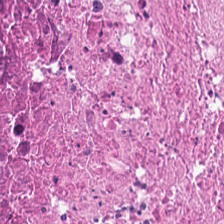Hematoxylin-and-eosin stained section. Q: What tissue type is shown here?
A: It is debris.
